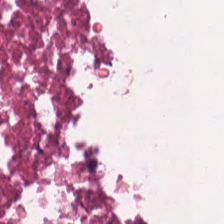224×224 pixel tile. H&E stain. Q: Classify this patch.
A: The field shows necrotic debris.
